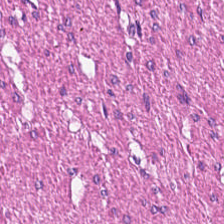The tissue is muscularis.
